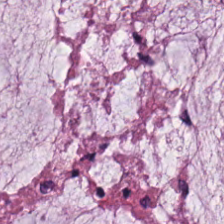Classification — mucus.
